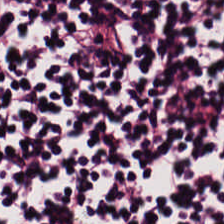224×224 pixel tile. Brightfield. H&E — Q: What is shown in this field?
A: Lymphoid infiltrate.
